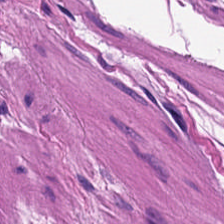0.5 microns per pixel; H&E; 224×224 px patch. Q: What type of tissue is this?
A: The field shows muscularis.
